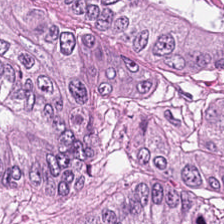Hematoxylin and eosin · brightfield — Tissue — malignant epithelium.
